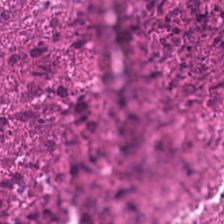Whole-slide-image patch. Hematoxylin-and-eosin stained section. The tissue here is debris.
